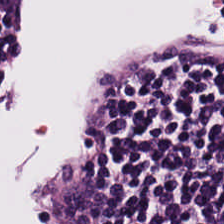This patch shows lymphocytes.
